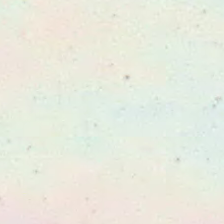Hematoxylin and eosin. {"content": "background (no tissue)"}
